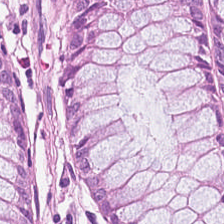H&E. Tissue class = non-neoplastic colon mucosa.
